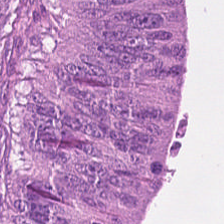This field is colorectal adenocarcinoma.
